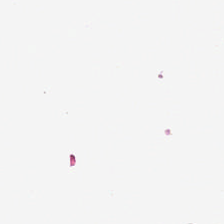Field content = empty background.
